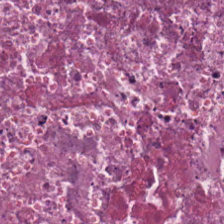H&E-stained tissue section.
This field is necrotic debris.
